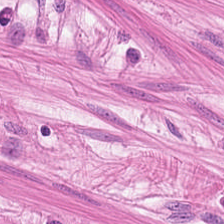20× equivalent magnification. H&E. This field is smooth-muscle tissue.
